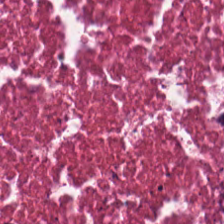H&E-stained tissue section — Tissue class = cellular debris.
